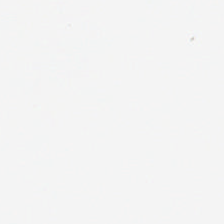This field is background (no tissue).
